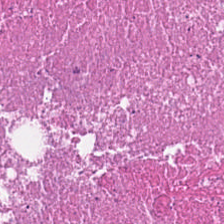Cellular debris.
